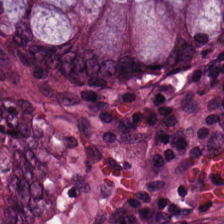Brightfield microscopy · 224×224 pixel tile · H&E-stained tissue section.
{"tissue_type": "normal colonic mucosa"}
